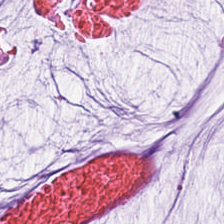Stain: hematoxylin and eosin.
Classification: mucus.
